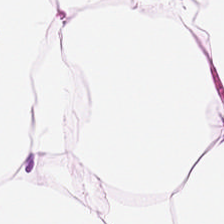Hematoxylin and eosin — This patch shows adipose.
